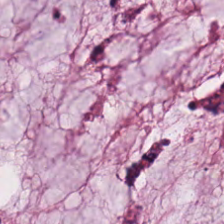Q: Classify this patch.
A: The field shows extracellular mucin.
